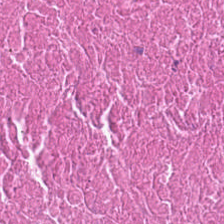H&E.
Q: What is the predominant tissue type?
A: The field shows necrotic debris.
